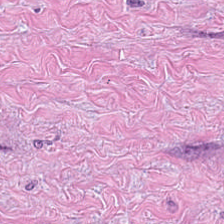H&E-stained tissue section · WSI patch — The tissue type is desmoplastic stroma.
